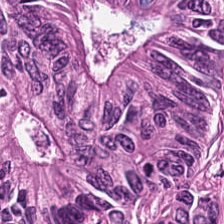Stain: H&E-stained tissue section.
Tile size: 224×224 px patch.
Preparation: FFPE tissue section.
Tissue type: colorectal adenocarcinoma epithelium.
